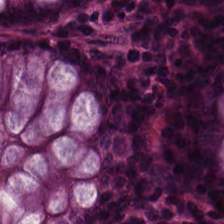H&E-stained tissue section · whole-slide-image patch · FFPE.
Q: What is shown in this field?
A: The field shows normal colonic mucosa.
